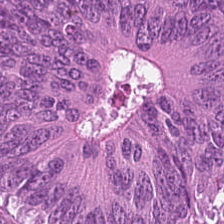0.5 µm/px; H&E; 224×224 pixel tile — Q: What is shown in this field?
A: The field shows malignant epithelium.
